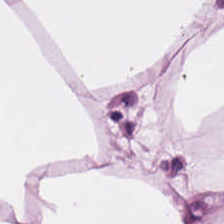H&E — Tissue type = fat tissue.
